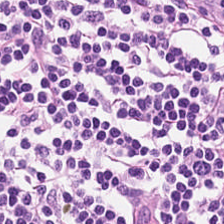Formalin-fixed paraffin-embedded section · H&E · whole-slide-image patch. The predominant tissue is lymphocyte aggregate.
